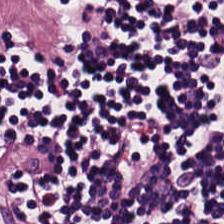224×224 px tile; hematoxylin and eosin.
Predominant tissue = lymphocytic infiltrate.
